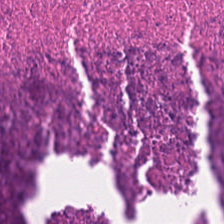Formalin-fixed paraffin-embedded section. Hematoxylin and eosin. Histology — necrotic debris.
